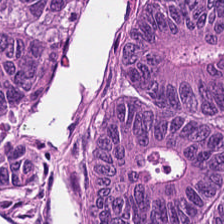0.5 µm per pixel · hematoxylin-and-eosin stained section — The predominant tissue is malignant epithelium.
